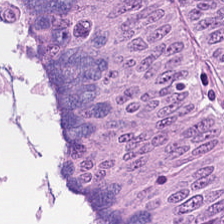0.5 µm per pixel. Hematoxylin-and-eosin stained section.
Predominant tissue: malignant epithelium.
